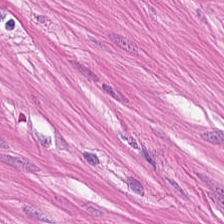0.5 microns per pixel. H&E. Q: Classify this patch.
A: Muscularis.
